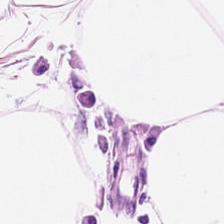224×224 px tile; H&E.
Q: What tissue is shown?
A: Adipose.
